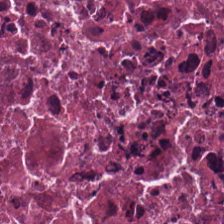Q: What type of tissue is this?
A: Necrotic debris.
